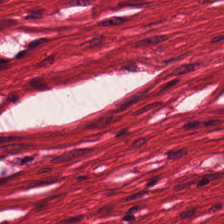Q: What does this patch show?
A: It is muscularis.
